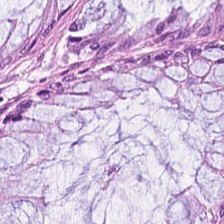Hematoxylin and eosin. FFPE tissue section. Q: What type of tissue is this?
A: This is non-neoplastic colon mucosa.
